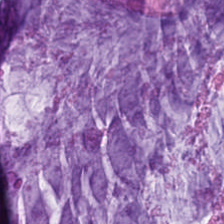FFPE tissue section; hematoxylin and eosin.
This field is mucus.
